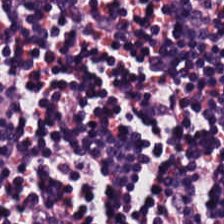H&E patch showing lymphocytic infiltrate.
